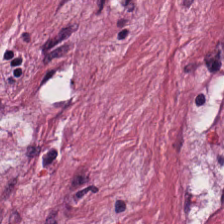Hematoxylin-and-eosin stained section — Predominantly tumor-associated stroma.
